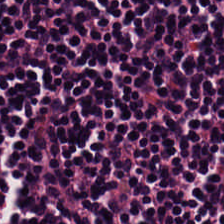H&E — Q: What tissue type is shown here?
A: Lymphocytic infiltrate.
